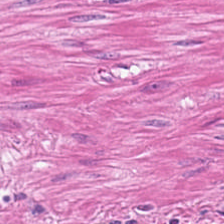Tissue type — muscularis.
